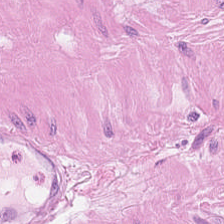{"tissue_type": "muscularis"}
